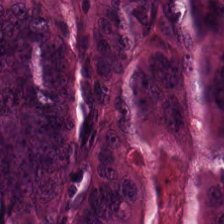224×224 px patch · H&E-stained tissue section.
This field is colorectal adenocarcinoma.
